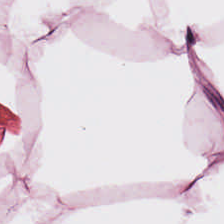H&E-stained tissue section. 224×224 pixel tile. Tissue type: adipocytes.
